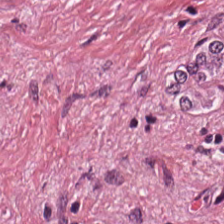Stain: H&E-stained tissue section.
Tissue class: tumor stroma.
